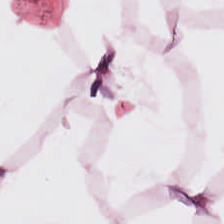Hematoxylin-and-eosin stained section. Showing adipose.
